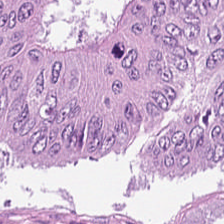Tissue class: malignant epithelium.
